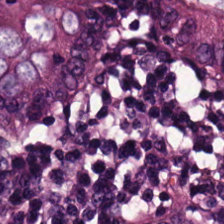Formalin-fixed paraffin-embedded section; 0.5 µm per pixel; H&E-stained tissue section.
Tissue type: normal colonic mucosa.
